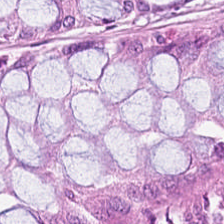Hematoxylin-and-eosin stained section.
Histology → benign colonic mucosa.
